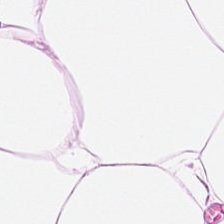224×224 pixel tile; hematoxylin and eosin.
The tissue class is adipocytes.
